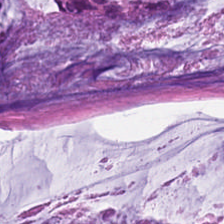Stain: H&E.
Tissue: mucus.
